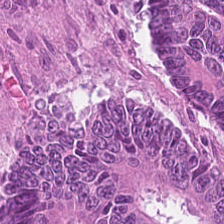Adenocarcinoma.
